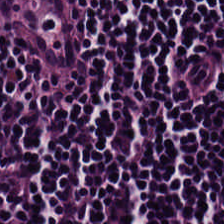Tissue class = lymphoid infiltrate.
